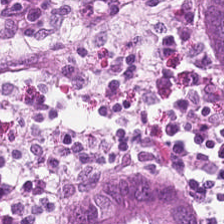H&E-stained tissue section — The predominant tissue is non-neoplastic colon mucosa.
